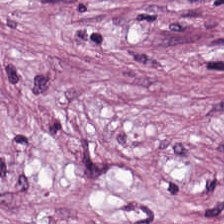Hematoxylin and eosin — Showing cancer-associated stroma.
